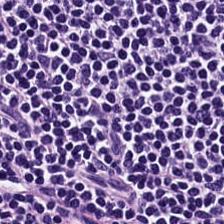H&E. FFPE tissue section.
Classification — lymphocytes.
